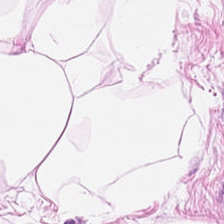H&E — Histology — adipose.
